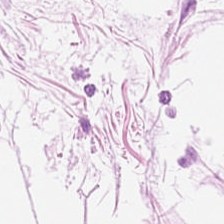The predominant tissue is adipose.
